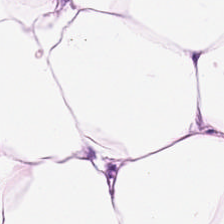H&E-stained tissue section — Q: What tissue is shown?
A: It is adipose.
